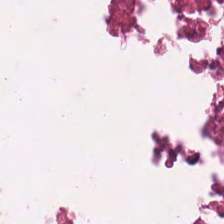Stain: H&E.
Predominant tissue: debris.
